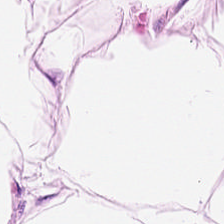Whole-slide-image patch; hematoxylin and eosin. The tissue here is adipocytes.
